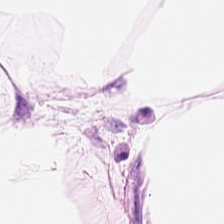The classification is adipocytes.
